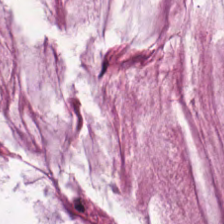H&E-stained tissue section.
This field is mucus.
